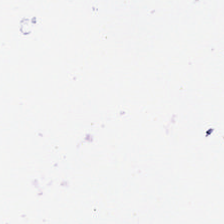Hematoxylin and eosin. Q: Classify this patch.
A: No tissue.
